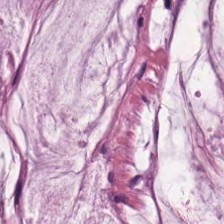Stain: H&E stain.
Tile size: 224×224 px tile.
Tissue: extracellular mucin.
